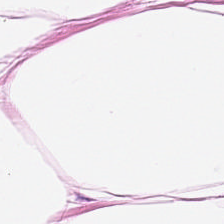Hematoxylin-and-eosin stained section — This field is adipocytes.
